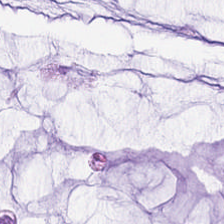Formalin-fixed paraffin-embedded section; 224×224 px tile; hematoxylin-and-eosin stained section.
Predominant tissue — extracellular mucin.
